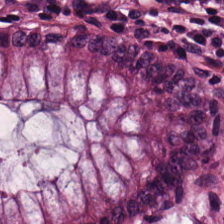Q: What tissue is shown?
A: The field shows non-neoplastic colon mucosa.
